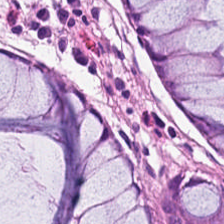Whole-slide-image patch · 224×224 px tile · H&E. Q: What is the predominant tissue type?
A: It is benign colonic mucosa.
